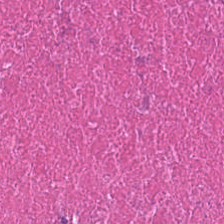H&E stain. The predominant tissue is cellular debris.
